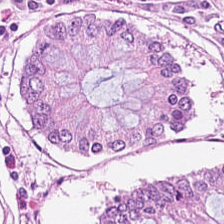Q: What tissue is shown?
A: This is normal colon mucosa.
